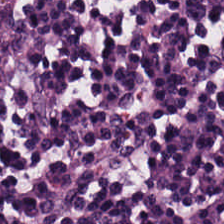The predominant tissue is lymphocytes.
